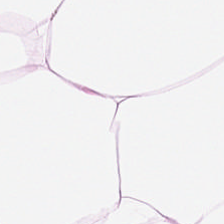0.5 microns per pixel. WSI patch. H&E stain.
Finding → adipose.
